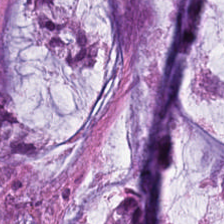H&E. The predominant tissue is extracellular mucin.
